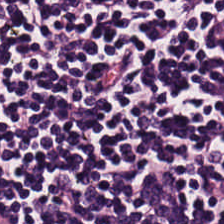Stain: hematoxylin-and-eosin stained section.
Acquisition: WSI patch.
Tile size: 224×224 px patch.
Tissue: lymphoid infiltrate.
